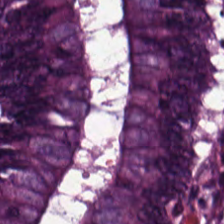Stain: H&E.
Tile size: 224×224 px tile.
Resolution: 0.5 µm/px.
Predominant tissue: malignant epithelium.
